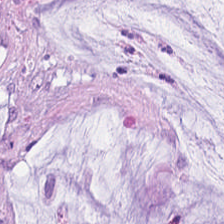Predominantly mucin.
